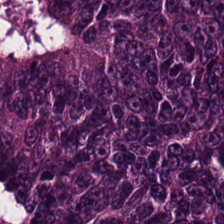0.5 µm per pixel; H&E-stained tissue section — Tissue = malignant epithelium.
